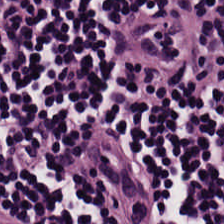H&E — Tissue = lymphocytes.
